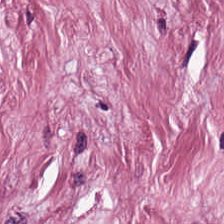224×224 px patch. H&E stain — Tissue class: desmoplastic stroma.
